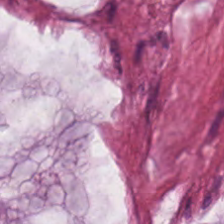Whole-slide-image patch · H&E.
Tissue class = mucin.
